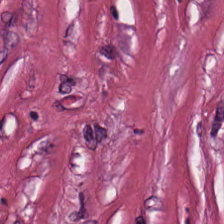Stain: H&E-stained tissue section.
Classification: desmoplastic stroma.
